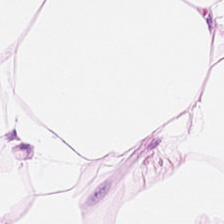Hematoxylin and eosin. The tissue here is adipose.
